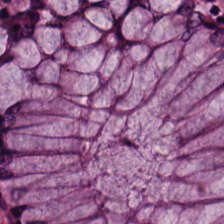Q: What is the predominant tissue type?
A: The field shows non-neoplastic colon mucosa.
